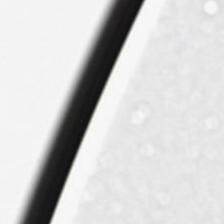H&E-stained tissue section. Empty field — background (no tissue).
